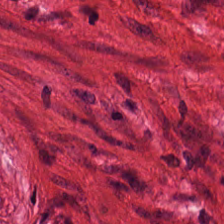Stain: H&E stain.
Predominant tissue: smooth muscle.
